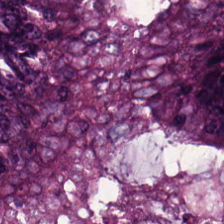Finding → colorectal adenocarcinoma.
